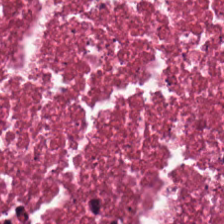Formalin-fixed paraffin-embedded section; 224×224 px patch; H&E. Tissue type = cellular debris.
